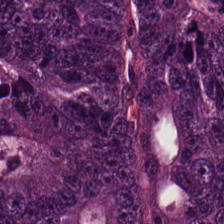Hematoxylin-and-eosin stained section. FFPE tissue section.
Finding — colorectal adenocarcinoma epithelium.
